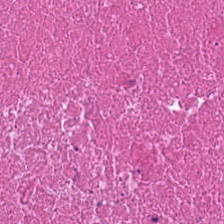H&E. This field is cellular debris.
